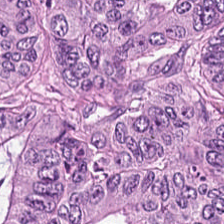This field is adenocarcinoma.
